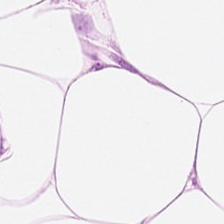FFPE tissue section · hematoxylin and eosin.
Tissue type = adipose tissue.
